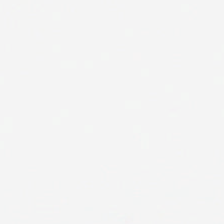0.5 µm/px. H&E-stained tissue section. Impression → empty background.
